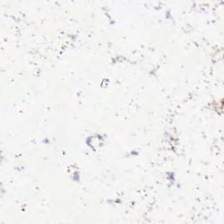Hematoxylin and eosin. This patch shows empty background.
